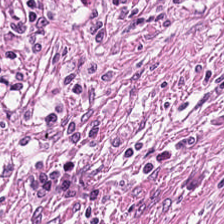Formalin-fixed paraffin-embedded section · hematoxylin and eosin.
The predominant tissue is tumor-associated stroma.
